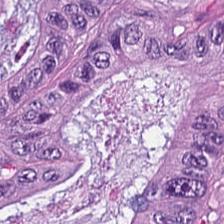Predominant tissue = colorectal adenocarcinoma epithelium.
